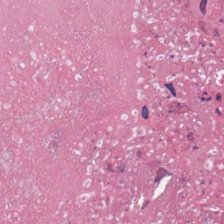H&E — This field is necrotic debris.
